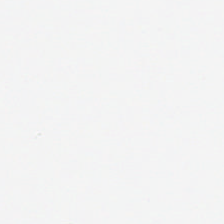This field is background (no tissue).
